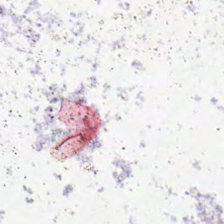Brightfield. Hematoxylin and eosin. 224×224 pixel tile. Impression — empty background.
